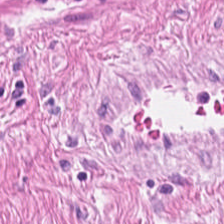Hematoxylin and eosin.
This patch shows smooth muscle.
